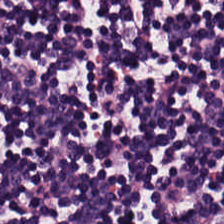Hematoxylin and eosin · WSI patch — Showing lymphocyte aggregate.
